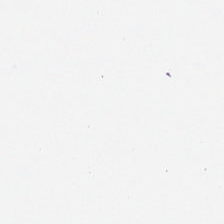Brightfield microscopy; H&E — Classification: background.
